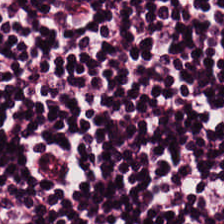Hematoxylin and eosin — Q: Identify the tissue.
A: It is lymphoid infiltrate.
